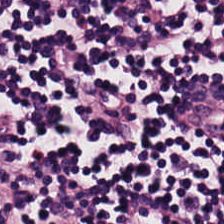224×224 pixel tile. Hematoxylin and eosin — The predominant tissue is lymphoid infiltrate.
